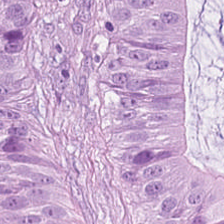Stain: hematoxylin-and-eosin stained section.
Tissue class: colorectal adenocarcinoma.
